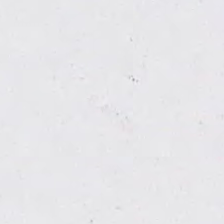Hematoxylin and eosin — This field is background (no tissue).
